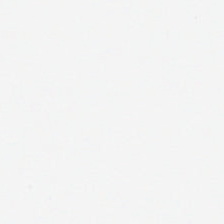Brightfield microscopy; hematoxylin and eosin. This field is background (no tissue).
